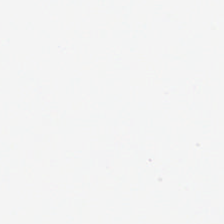H&E.
This field is background (no tissue).
